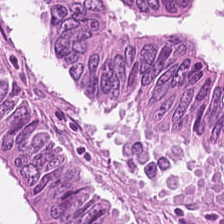Stain: hematoxylin-and-eosin stained section.
Tissue type: colorectal adenocarcinoma.
